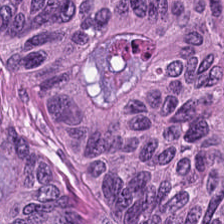FFPE tissue section · hematoxylin and eosin — The classification is malignant epithelium.
